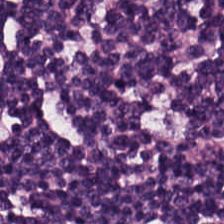H&E; 0.5 microns per pixel — The tissue class is lymphocyte aggregate.
